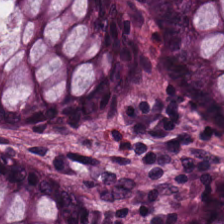Stain: hematoxylin-and-eosin stained section.
Acquisition: whole-slide-image patch.
Resolution: 0.5 microns per pixel.
Tissue type: normal colonic mucosa.
